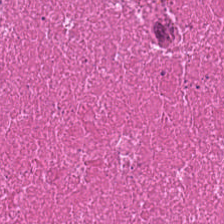H&E — debris.
